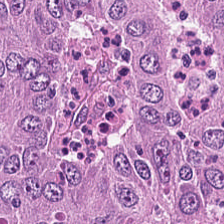224×224 px patch · H&E stain. Tissue type = colorectal adenocarcinoma.
